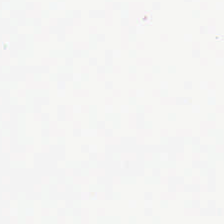Hematoxylin-and-eosin stained section. Background — no tissue in this field.
